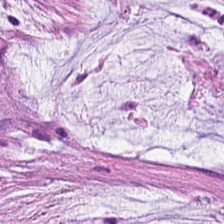Stain: H&E stain.
Classification: mucus.
